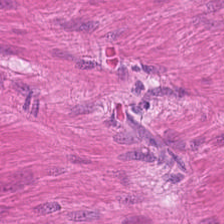H&E stain — The predominant tissue is smooth muscle.
